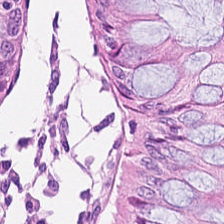H&E-stained tissue section. Q: What is shown in this field?
A: Benign colonic mucosa.
